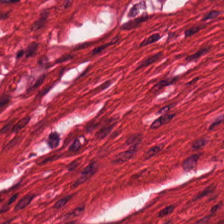H&E.
Q: What tissue is shown?
A: This is smooth muscle.
